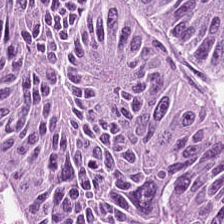Brightfield; H&E-stained tissue section; 20× equivalent magnification. Tissue — colorectal adenocarcinoma.
